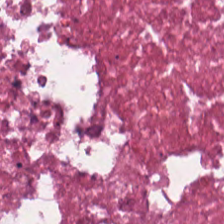The tissue is debris.
